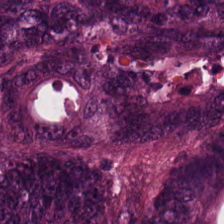Hematoxylin-and-eosin stained section. Predominantly adenocarcinoma.
